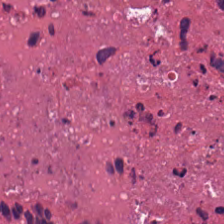Brightfield microscopy. 224×224 px tile. Hematoxylin and eosin.
Q: What tissue is shown?
A: This is debris.
